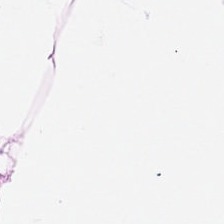Hematoxylin-and-eosin stained section. This field is adipocytes.
